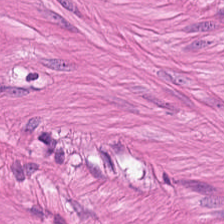Finding — smooth-muscle tissue.
